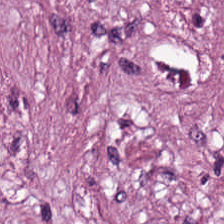Formalin-fixed paraffin-embedded section; 224×224 px tile; hematoxylin and eosin — The predominant tissue is desmoplastic stroma.
